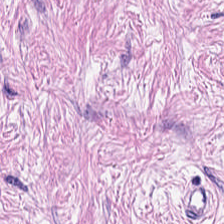Formalin-fixed paraffin-embedded section · H&E. The tissue here is desmoplastic stroma.
